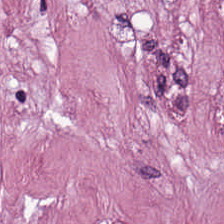Stain: H&E stain.
Preparation: formalin-fixed paraffin-embedded section.
Tissue class: tumor stroma.
